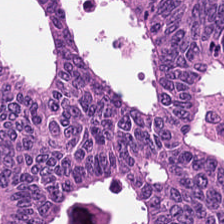H&E · WSI patch · formalin-fixed paraffin-embedded section. Classification: colorectal adenocarcinoma epithelium.
